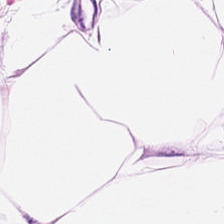Stain: hematoxylin and eosin.
Tile size: 224×224 px patch.
Tissue class: adipocytes.
